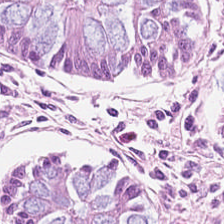Stain: H&E-stained tissue section.
Resolution: 0.5 microns per pixel.
Classification: non-neoplastic colon mucosa.
